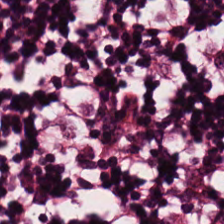Hematoxylin and eosin. Classification — lymphocytes.
